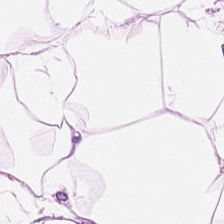Hematoxylin and eosin. Q: What is shown in this field?
A: Adipose tissue.
